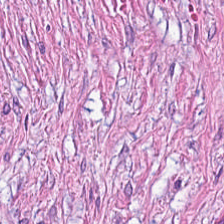Hematoxylin and eosin. Impression → tumor-associated stroma.
